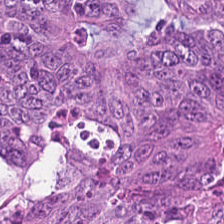H&E. Showing tumor epithelium.
